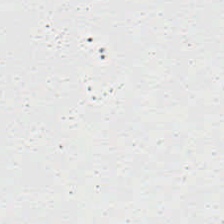224×224 px tile. Hematoxylin and eosin. FFPE. Q: What is shown in this field?
A: This is empty background.
